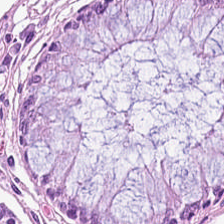Impression → non-neoplastic colon mucosa.
